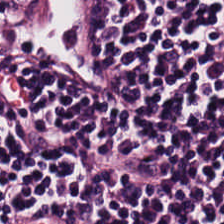H&E stain. 224×224 px patch.
Q: Identify the tissue.
A: Lymphoid infiltrate.
